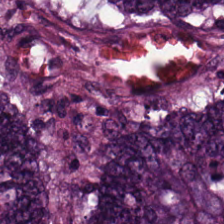FFPE tissue section · H&E stain · 224×224 px tile. Tissue class — adenocarcinoma.
